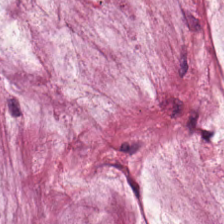Stain: H&E.
Tissue type: mucin.
